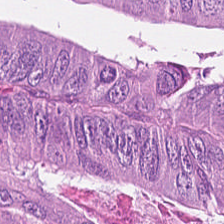H&E-stained tissue section — Showing adenocarcinoma.
